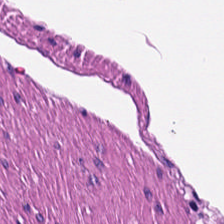Stain: H&E.
Tissue class: muscularis.
